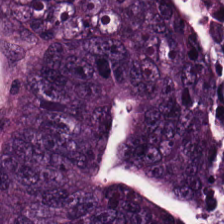Whole-slide-image patch; hematoxylin-and-eosin stained section. This field is tumor epithelium.
